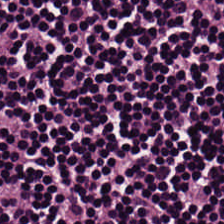Predominant tissue = lymphocyte aggregate.
